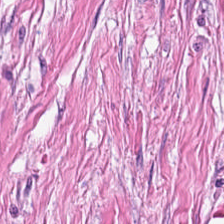FFPE · H&E-stained tissue section · 224×224 pixel tile.
Tissue — cancer-associated stroma.
